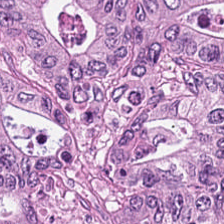Classification — malignant epithelium.
